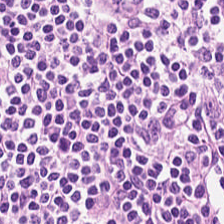Q: What tissue is shown?
A: This is lymphocyte aggregate.
